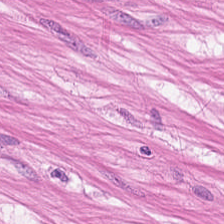Tissue class: muscularis.
